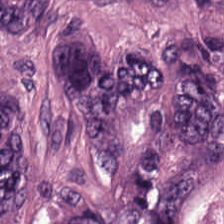H&E. Q: What tissue is shown?
A: Adenocarcinoma.
